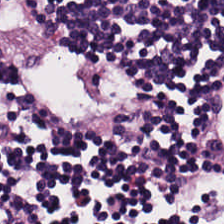Hematoxylin and eosin; whole-slide-image patch. Tissue type: lymphocytes.
